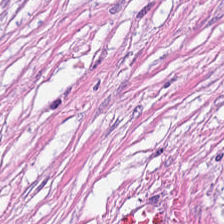H&E.
This patch shows tumor stroma.
